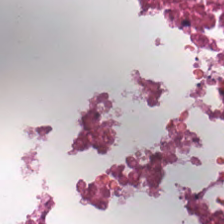Stain: H&E-stained tissue section.
Classification: necrotic debris.
